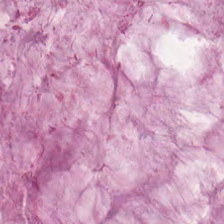Tissue type: mucin.
